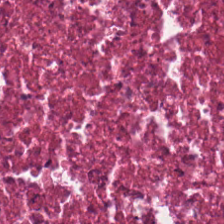Hematoxylin and eosin · formalin-fixed paraffin-embedded section.
Finding — cellular debris.
